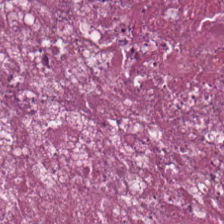H&E-stained tissue section — Cellular debris.
